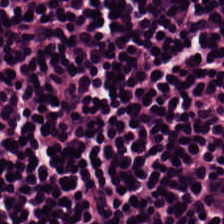Hematoxylin and eosin.
The tissue type is lymphoid infiltrate.
